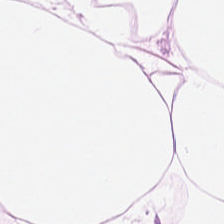H&E-stained tissue section.
This field is adipose tissue.
